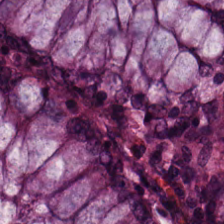H&E-stained tissue section; 224×224 px tile.
Tissue — normal colon mucosa.
